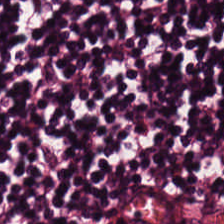Q: What is the predominant tissue type?
A: It is lymphocytes.
